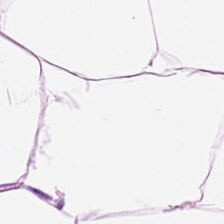Impression → adipose.
